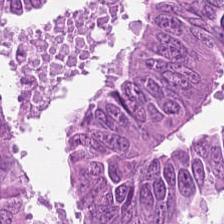The predominant tissue is malignant epithelium.
